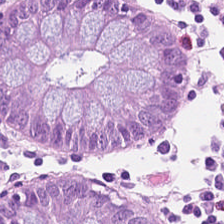Stain: H&E stain.
Tissue type: benign colonic mucosa.
